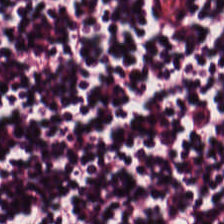Whole-slide-image patch; H&E-stained tissue section. Q: What type of tissue is this?
A: Lymphocyte aggregate.
